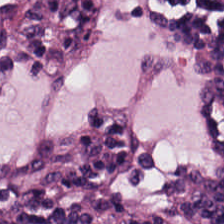Stain: hematoxylin-and-eosin stained section.
Acquisition: whole-slide-image patch.
Resolution: 0.5 µm/px.
Predominant tissue: lymphocyte aggregate.
